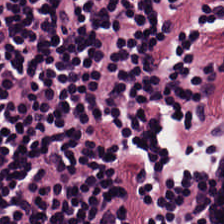Hematoxylin-and-eosin stained section — Tissue = lymphoid infiltrate.
